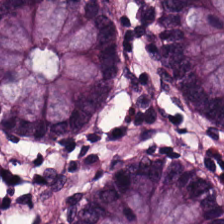H&E.
Q: Classify this patch.
A: It is non-neoplastic colon mucosa.
